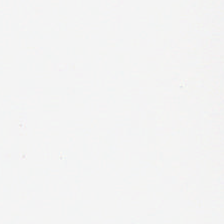224×224 px tile. H&E stain. Histology — empty background.
